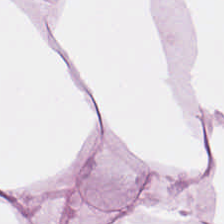Whole-slide-image patch · H&E — The tissue class is adipocytes.
